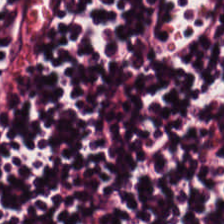{"tissue_type": "lymphocytes"}
